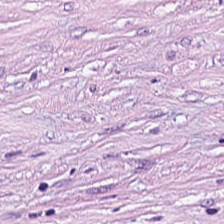20× equivalent magnification; H&E-stained tissue section — Q: What does this patch show?
A: This is cancer-associated stroma.
